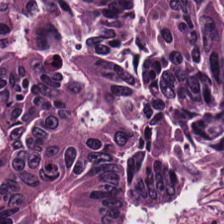Stain: H&E.
Acquisition: WSI patch.
Tissue type: tumor epithelium.
